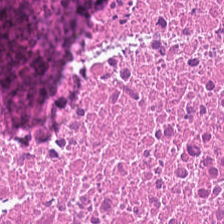FFPE. H&E-stained tissue section. Showing necrotic debris.
